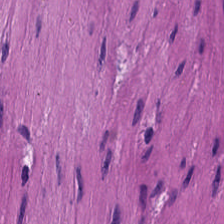Hematoxylin and eosin. Tissue — smooth-muscle tissue.
